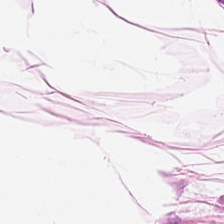H&E-stained tissue section · 224×224 px patch — Tissue — adipose.
